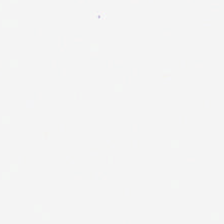Hematoxylin and eosin. 0.5 µm/px — Q: Classify this patch.
A: This is background (no tissue).
